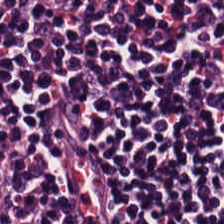Hematoxylin-and-eosin stained section — Tissue class — lymphocytic infiltrate.
